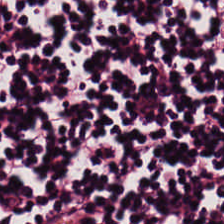FFPE tissue section; 224×224 px tile; H&E-stained tissue section.
Impression — lymphocytes.
